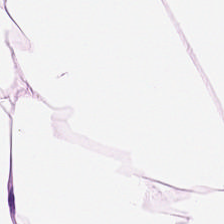H&E stain.
Q: What is shown in this field?
A: Fat tissue.
